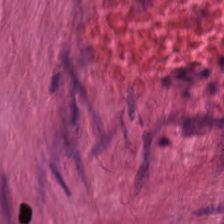Hematoxylin-and-eosin stained section. Brightfield microscopy. 224×224 px patch. Q: Classify this patch.
A: It is muscularis.
